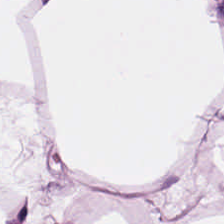H&E-stained tissue section. WSI patch. Formalin-fixed paraffin-embedded section. Q: Identify the tissue.
A: The field shows adipose tissue.
